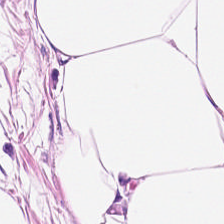Brightfield; 20× equivalent magnification; H&E-stained tissue section. Tissue class — adipose.
